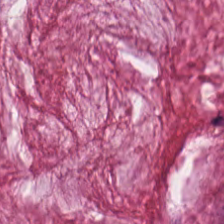224×224 pixel tile · H&E stain. Extracellular mucin.
